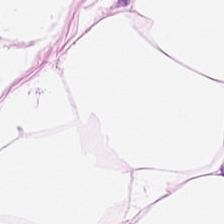Adipocytes.
